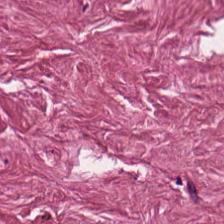H&E-stained tissue section.
Finding → cancer-associated stroma.
